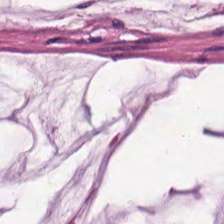Hematoxylin-and-eosin stained section. The tissue here is mucin.
